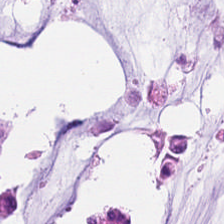Brightfield · 0.5 microns per pixel · H&E stain.
Predominantly mucin.
